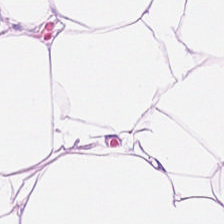Stain: hematoxylin-and-eosin stained section.
Classification: adipose tissue.
